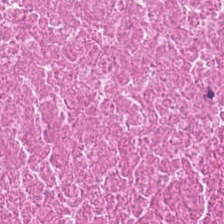H&E-stained tissue section.
Predominantly debris.
